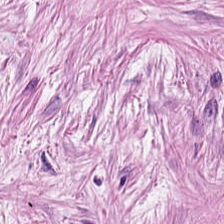Hematoxylin-and-eosin section: tumor stroma.
